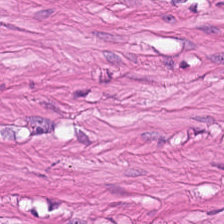H&E.
Q: Identify the tissue.
A: The field shows smooth muscle.
